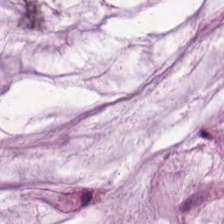Hematoxylin-and-eosin stained section. This patch shows mucin.
